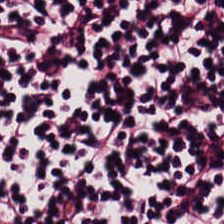H&E-stained tissue section. 0.5 microns per pixel.
Showing lymphocyte aggregate.
